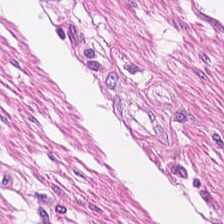The tissue class is smooth muscle.
